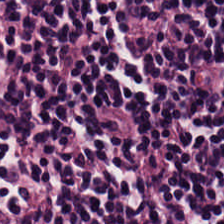FFPE tissue section; hematoxylin and eosin — Classification = lymphocyte aggregate.
